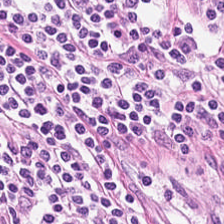Hematoxylin-and-eosin stained section. Tissue type: lymphocyte aggregate.
